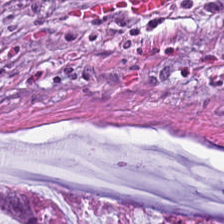Stain: hematoxylin and eosin.
Tissue: mucus.
